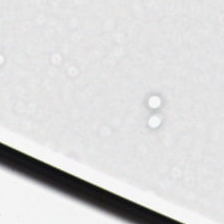Empty background.
